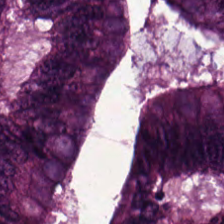H&E stain — Colorectal adenocarcinoma epithelium.
